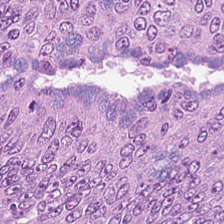Stain: H&E-stained tissue section.
Tissue type: malignant epithelium.
